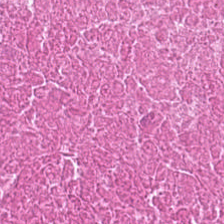Hematoxylin-and-eosin stained section.
Necrotic debris.
